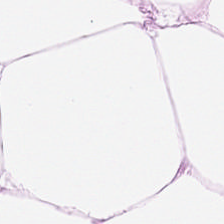H&E; formalin-fixed paraffin-embedded section. Predominant tissue — adipose.
